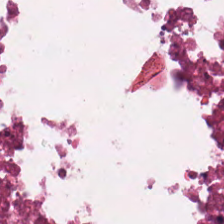H&E · 224×224 px patch.
Showing cellular debris.
